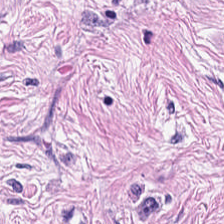H&E-stained tissue section — Predominant tissue — tumor stroma.
